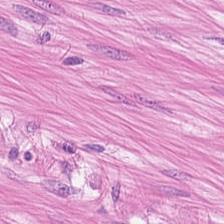224×224 pixel tile; H&E; formalin-fixed paraffin-embedded section — Q: What type of tissue is this?
A: It is muscularis.
